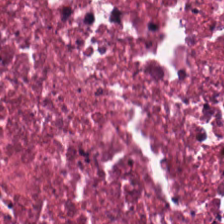Stain: hematoxylin and eosin.
Resolution: 0.5 µm per pixel.
Predominant tissue: necrotic debris.
